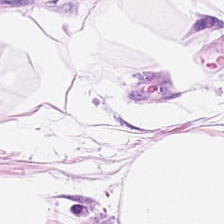H&E-stained tissue section — Tissue class — fat tissue.
